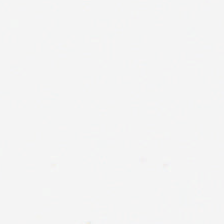This patch shows no tissue.
